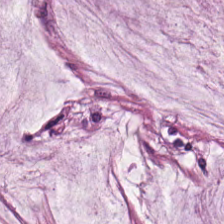Showing extracellular mucin.
